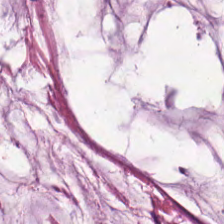H&E stain; WSI patch; formalin-fixed paraffin-embedded section — Q: What tissue type is shown here?
A: Mucin.
